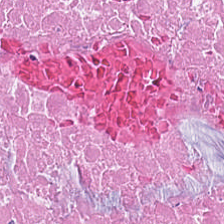H&E — Finding → necrotic debris.
